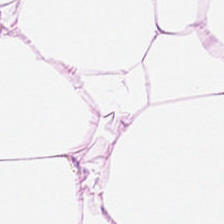H&E-stained tissue section. The predominant tissue is adipose.
